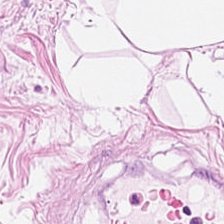Predominant tissue — adipose.
